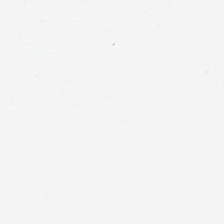Hematoxylin-and-eosin stained section. Content — empty background.
